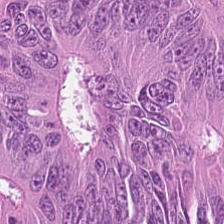Stain: hematoxylin-and-eosin stained section.
Tissue: adenocarcinoma.
